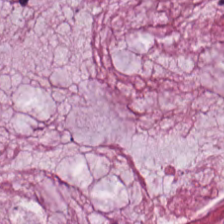This patch shows extracellular mucin.
